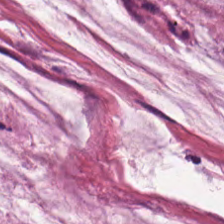Predominantly mucus.
